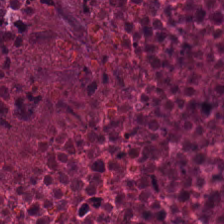Q: What does this patch show?
A: It is cellular debris.
